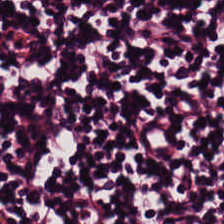0.5 microns per pixel; WSI patch; H&E.
The tissue here is lymphoid infiltrate.
